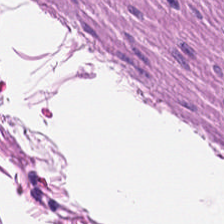H&E-stained tissue section. The tissue type is smooth-muscle tissue.
